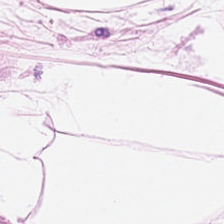Stain: hematoxylin and eosin.
Acquisition: brightfield microscopy.
Classification: adipocytes.
